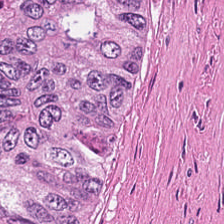Showing cellular debris.
